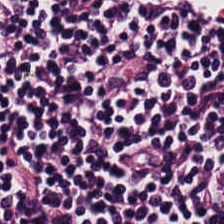H&E — Finding — lymphocytes.
